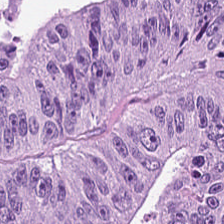The classification is tumor epithelium.
